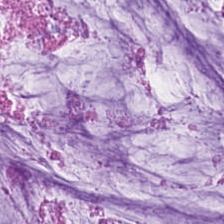Stain: H&E.
Tissue class: mucus.
